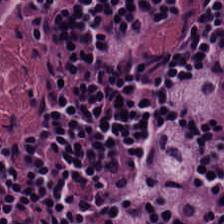Formalin-fixed paraffin-embedded section. H&E — Lymphoid infiltrate.
